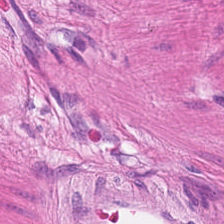Stain: H&E-stained tissue section.
Tile size: 224×224 px patch.
Predominant tissue: smooth muscle.
